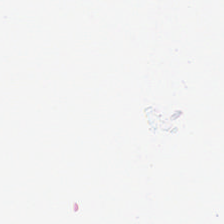H&E stain — Content — empty background.
